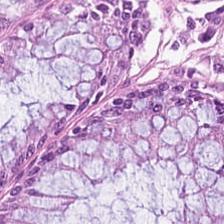H&E stain. Showing normal colon mucosa.
